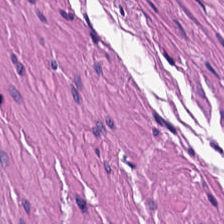H&E-stained tissue section · FFPE.
Q: Classify this patch.
A: This is smooth muscle.
